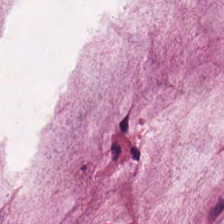0.5 microns per pixel; hematoxylin and eosin; FFPE tissue section — Tissue class: mucus.
